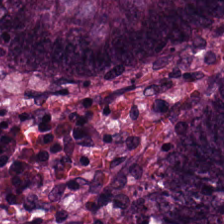Hematoxylin-and-eosin stained section; 224×224 pixel tile — Tissue type: colorectal adenocarcinoma.
